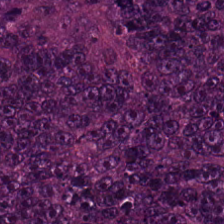Hematoxylin-and-eosin stained section. Whole-slide-image patch. 20× equivalent magnification. Tissue — tumor epithelium.
